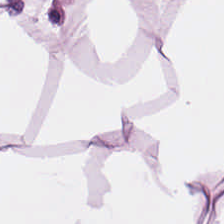Stain: H&E-stained tissue section.
Predominant tissue: adipose tissue.
